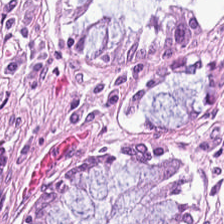H&E. This field is normal colon mucosa.
